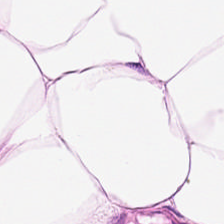H&E stain; 0.5 microns per pixel — Finding → adipose.
